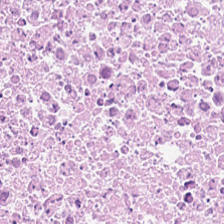Hematoxylin and eosin. Q: What tissue is shown?
A: It is debris.
